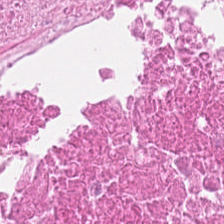0.5 µm per pixel · hematoxylin-and-eosin stained section. The tissue type is debris.
